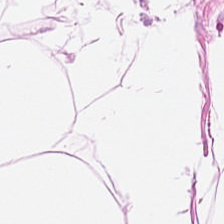Formalin-fixed paraffin-embedded section; H&E-stained tissue section; 0.5 µm per pixel.
Tissue type — adipocytes.
